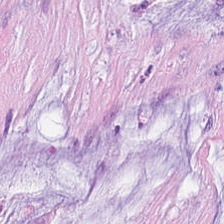224×224 px tile. H&E stain. 20× equivalent magnification. {"tissue_type": "extracellular mucin"}
